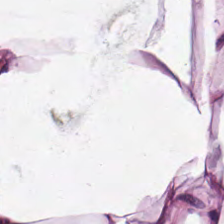224×224 px patch; brightfield; H&E — The tissue type is adipose tissue.
